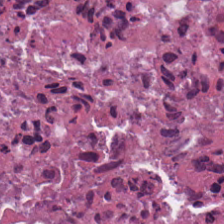Finding → cellular debris.
